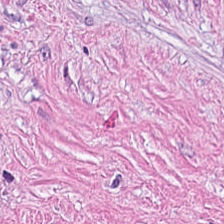H&E-stained tissue section · formalin-fixed paraffin-embedded section · whole-slide-image patch — Showing cancer-associated stroma.
